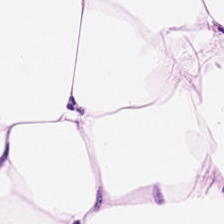H&E stain.
Tissue type — adipose tissue.
